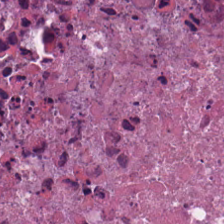224×224 pixel tile · H&E-stained tissue section · whole-slide-image patch.
The tissue type is debris.
